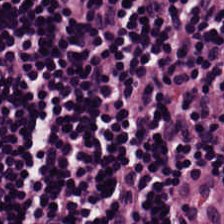Q: What is shown in this field?
A: Lymphocyte aggregate.
